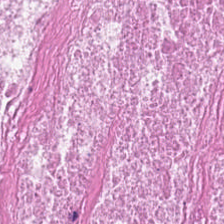H&E-stained tissue section — Predominant tissue: debris.
